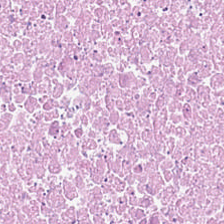Hematoxylin-and-eosin stained section.
Showing debris.
